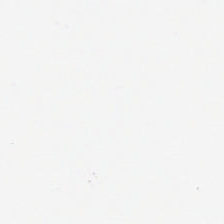Hematoxylin-and-eosin stained section.
Classification = background (no tissue).
